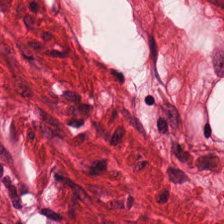H&E — smooth muscle.
